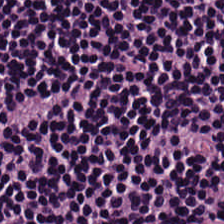H&E; 224×224 px tile — Lymphoid infiltrate.
